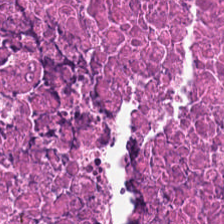WSI patch; FFPE tissue section; H&E-stained tissue section — The predominant tissue is debris.
